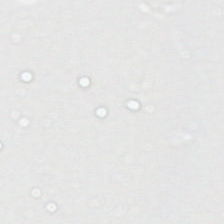H&E-stained tissue section. 20× equivalent magnification.
Classification — no tissue.
